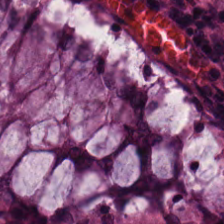This field is normal colonic mucosa.
